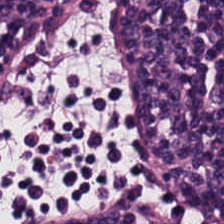0.5 µm per pixel. 224×224 pixel tile. H&E-stained tissue section. Q: What is shown here?
A: The field shows lymphocyte aggregate.
